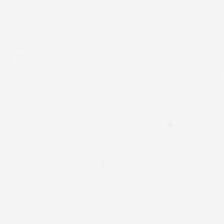Hematoxylin and eosin.
Impression — background (no tissue).
